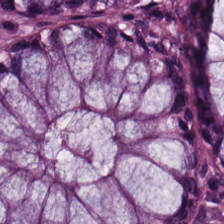Hematoxylin-and-eosin stained section.
The predominant tissue is normal colonic mucosa.
